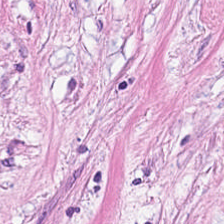Q: What tissue is shown?
A: This is desmoplastic stroma.
